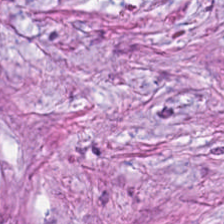H&E. WSI patch. Tissue — desmoplastic stroma.
